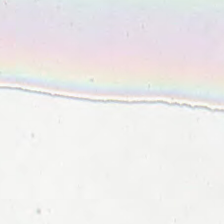H&E stain.
The field content is background.
